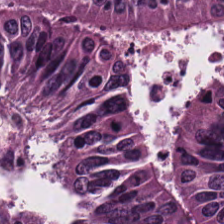H&E-stained tissue section showing tumor epithelium.
